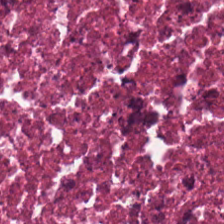Hematoxylin and eosin · brightfield microscopy · 20× equivalent magnification — Tissue type: cellular debris.
